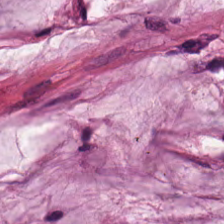224×224 px patch; hematoxylin and eosin.
Tissue = extracellular mucin.
